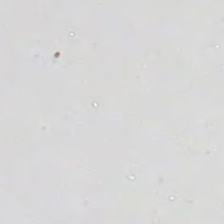224×224 pixel tile · H&E-stained tissue section — Impression — background (no tissue).
